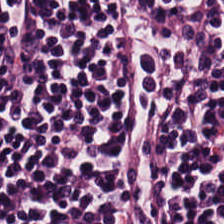H&E-stained tissue section · 0.5 µm per pixel.
Finding → lymphocytic infiltrate.
